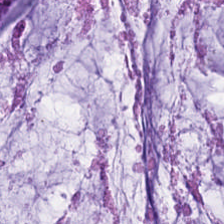H&E.
The classification is mucus.
